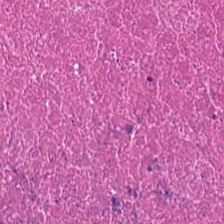Q: What tissue is shown?
A: This is debris.
